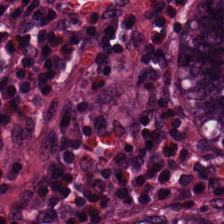FFPE tissue section · H&E-stained tissue section · WSI patch.
Q: What does this patch show?
A: Non-neoplastic colon mucosa.
